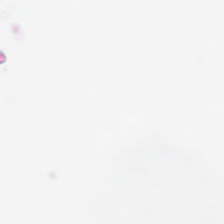H&E stain. This field is background (no tissue).
